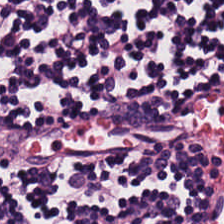0.5 µm/px; FFPE tissue section; H&E.
{"tissue_type": "lymphocyte aggregate"}
